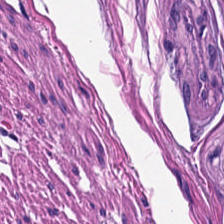FFPE. H&E-stained tissue section. Impression → smooth muscle.
